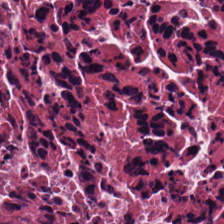H&E stain.
Tissue type — cellular debris.
